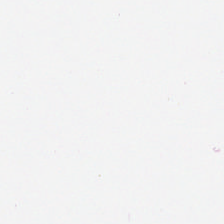Hematoxylin and eosin — Background — no tissue in this field.
